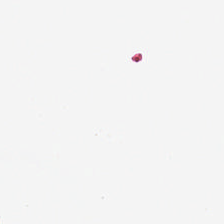Stain: H&E.
Content: background (no tissue).
